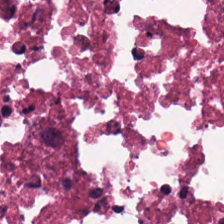H&E-stained tissue section · formalin-fixed paraffin-embedded section. {"tissue_type": "cellular debris"}
